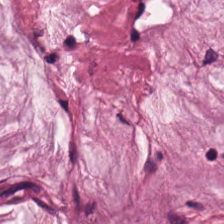The classification is mucin.
